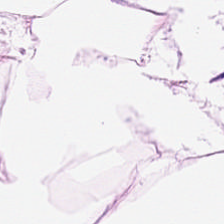FFPE. Hematoxylin and eosin. 224×224 px tile.
The predominant tissue is adipose.
